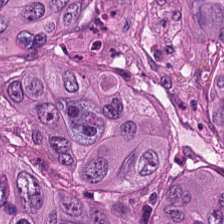224×224 pixel tile · hematoxylin and eosin. The tissue here is adenocarcinoma.
